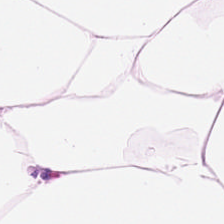Stain: H&E stain.
Tile size: 224×224 px tile.
Preparation: FFPE.
Tissue: adipose.
